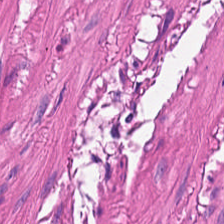H&E-stained tissue section. This patch shows muscularis.
